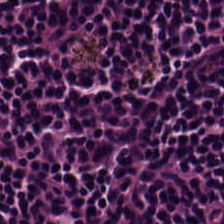Stain: H&E.
Classification: lymphocytic infiltrate.
